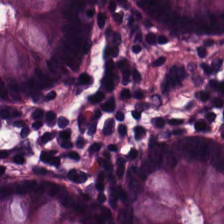Finding → benign colonic mucosa.
